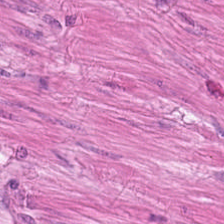H&E; 224×224 px patch. The predominant tissue is muscularis.
